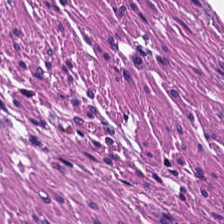H&E.
Q: What is shown in this field?
A: It is smooth-muscle tissue.
